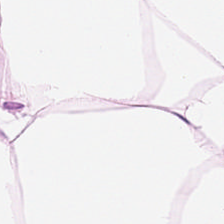H&E-stained tissue section.
Q: What is shown in this field?
A: Fat tissue.
